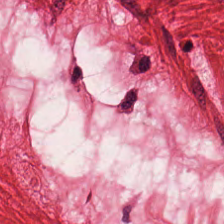Stain: hematoxylin-and-eosin stained section.
Tissue class: smooth muscle.
